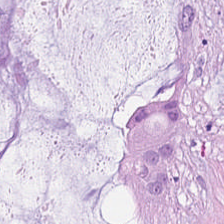Hematoxylin and eosin — {"tissue_type": "mucin"}
